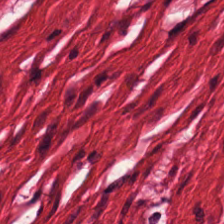224×224 px tile · H&E · brightfield.
This patch shows muscularis.
